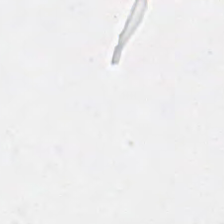H&E. FFPE. Content — no tissue.
